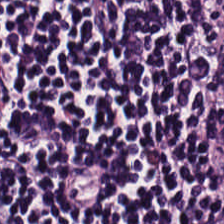Hematoxylin-and-eosin stained section. Tissue: lymphocyte aggregate.
